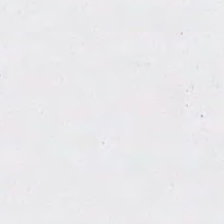0.5 µm per pixel; H&E — Q: What is shown here?
A: This is empty background.
